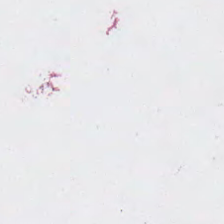224×224 px patch; H&E-stained tissue section; brightfield microscopy. This patch shows background.
